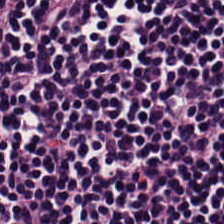Impression — lymphocytes.
